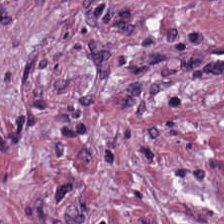Brightfield; hematoxylin-and-eosin stained section — Classification: cancer-associated stroma.
